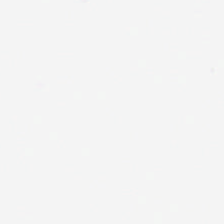The content is empty background.
